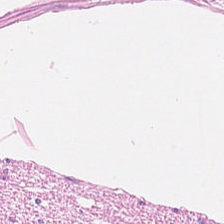FFPE; H&E.
Histology → smooth muscle.
